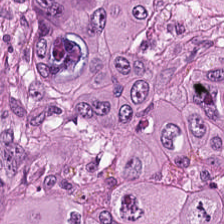H&E stain. Q: Identify the tissue.
A: It is colorectal adenocarcinoma.
